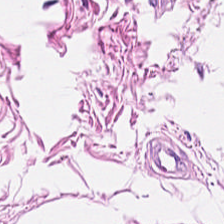Hematoxylin-and-eosin stained section. Predominant tissue = muscularis.
